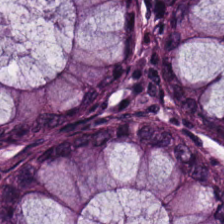Hematoxylin-and-eosin stained section — {"tissue_type": "normal colonic mucosa"}
